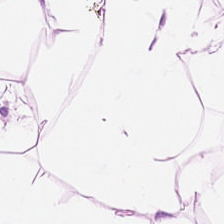H&E-stained tissue section; FFPE tissue section — Classification: adipocytes.
